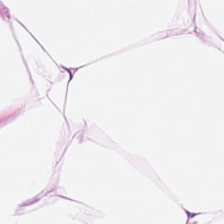H&E patch showing adipose.
